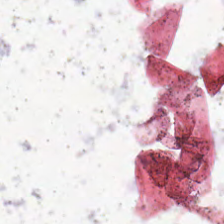Brightfield; hematoxylin and eosin; formalin-fixed paraffin-embedded section — Q: What is shown here?
A: The field shows background.
